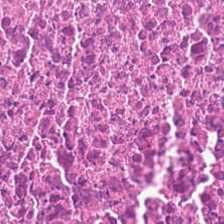H&E.
Predominant tissue = debris.
